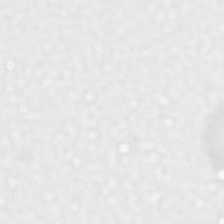Hematoxylin and eosin. {"content": "background (no tissue)"}
